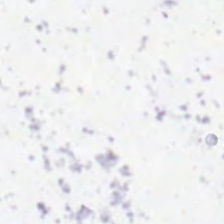Stain: hematoxylin-and-eosin stained section.
Classification: background (no tissue).
